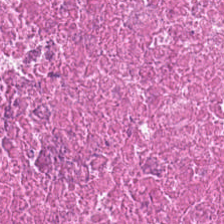FFPE; 224×224 px patch; H&E.
The tissue here is necrotic debris.
